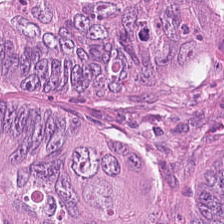Hematoxylin and eosin — Showing colorectal adenocarcinoma epithelium.
